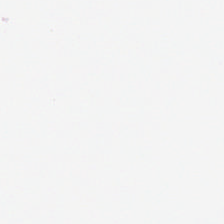Hematoxylin and eosin — No tissue present; background only.
